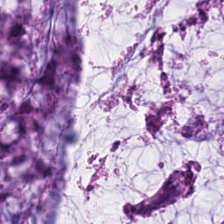The predominant tissue is mucus.
